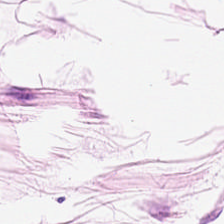This patch shows adipose tissue.
